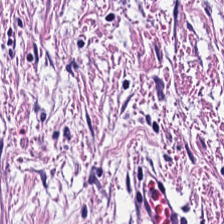Stain: H&E stain.
Predominant tissue: desmoplastic stroma.
